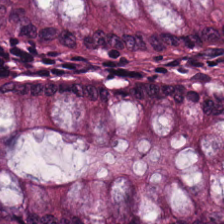Impression → benign colonic mucosa.
